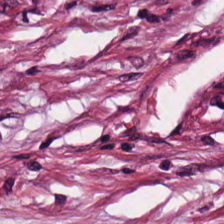224×224 px patch; hematoxylin-and-eosin stained section.
Tumor stroma.
